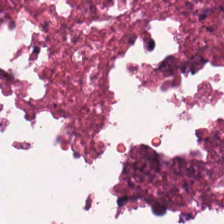H&E — Q: What is shown here?
A: The field shows cellular debris.
